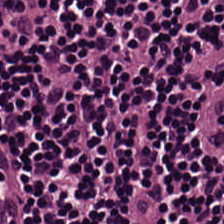Hematoxylin-and-eosin section: lymphocytes.
